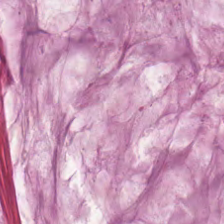Impression → mucus.
